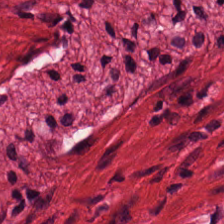Tissue = smooth-muscle tissue.
